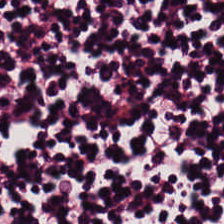Formalin-fixed paraffin-embedded section · H&E. Q: Identify the tissue.
A: This is lymphocytic infiltrate.
